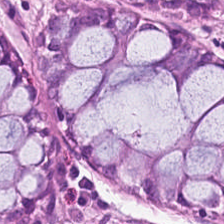Stain: hematoxylin-and-eosin stained section.
Tissue: normal colon mucosa.
